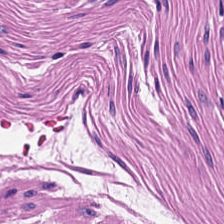Hematoxylin-and-eosin stained section — Histology — smooth-muscle tissue.
